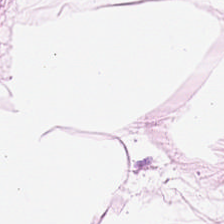224×224 pixel tile; H&E. Tissue type — adipocytes.
